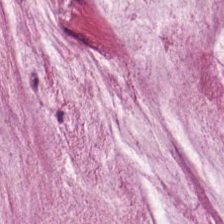Hematoxylin and eosin.
Classification: mucus.
